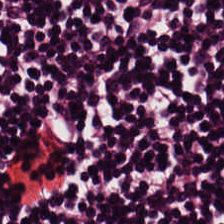H&E stain — The predominant tissue is lymphocyte aggregate.
